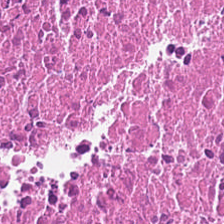Q: What is the predominant tissue type?
A: Necrotic debris.
